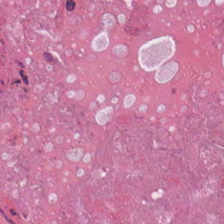Hematoxylin and eosin — Debris.
